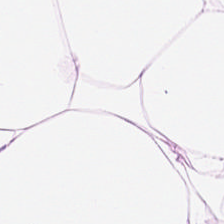Stain: hematoxylin-and-eosin stained section.
Predominant tissue: fat tissue.
